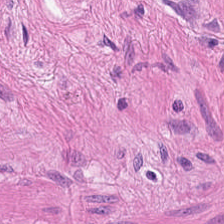H&E. Histology — smooth-muscle tissue.
